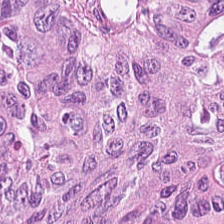H&E-stained tissue section.
Q: What is shown in this field?
A: This is colorectal adenocarcinoma epithelium.
